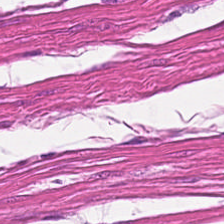H&E. Q: What tissue is shown?
A: It is smooth-muscle tissue.
